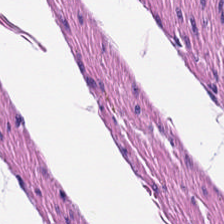Histology → muscularis.
